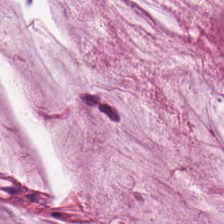H&E. The predominant tissue is mucus.
